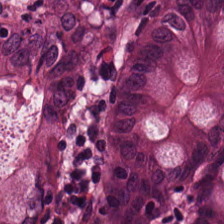Q: What is the predominant tissue type?
A: The field shows non-neoplastic colon mucosa.
